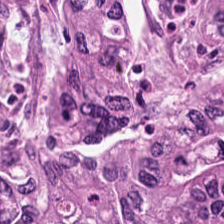Hematoxylin-and-eosin stained section — {"tissue_type": "colorectal adenocarcinoma epithelium"}
